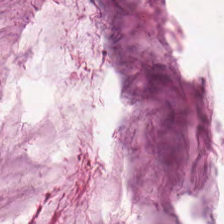Hematoxylin and eosin. Q: What is the predominant tissue type?
A: The field shows extracellular mucin.
